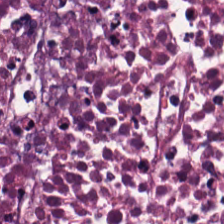Hematoxylin and eosin. Tissue = cellular debris.
